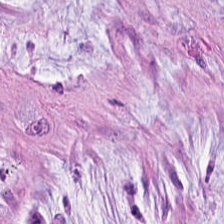Hematoxylin and eosin. 224×224 px patch. 0.5 µm/px — Finding — mucin.
